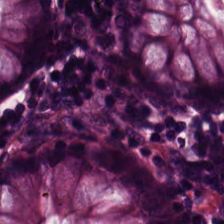0.5 µm per pixel · WSI patch · hematoxylin-and-eosin stained section.
Q: What is the predominant tissue type?
A: Normal colonic mucosa.
